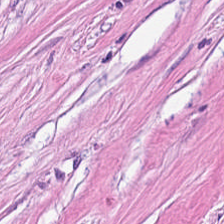Q: What type of tissue is this?
A: The field shows cancer-associated stroma.
